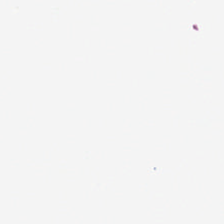Formalin-fixed paraffin-embedded section · 224×224 pixel tile · hematoxylin and eosin. Finding → background (no tissue).
